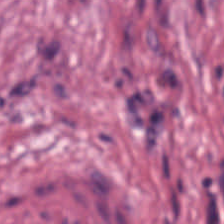0.5 µm per pixel; hematoxylin-and-eosin stained section.
Cancer-associated stroma.
